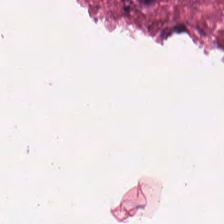20× equivalent magnification. Hematoxylin-and-eosin stained section. The tissue here is cellular debris.
